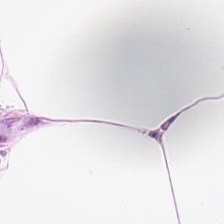Impression — adipose tissue.
